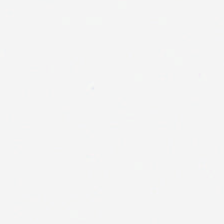Impression — background.
